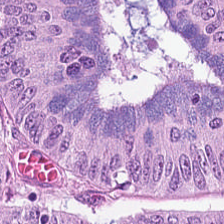Whole-slide-image patch. H&E stain.
Tissue type — adenocarcinoma.
